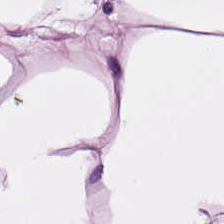Predominantly adipocytes.
